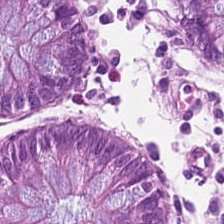Q: What tissue is shown?
A: It is non-neoplastic colon mucosa.
